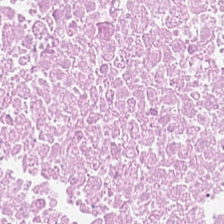Hematoxylin-and-eosin stained section.
Showing necrotic debris.
